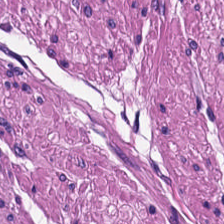Q: What type of tissue is this?
A: Smooth-muscle tissue.
